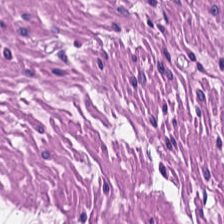Hematoxylin-and-eosin stained section.
The tissue type is smooth-muscle tissue.
